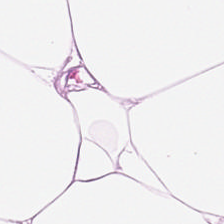Q: What tissue is shown?
A: It is adipose tissue.
